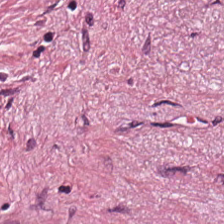Finding — tumor-associated stroma.
